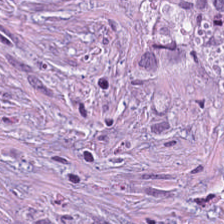H&E — Predominantly cancer-associated stroma.
